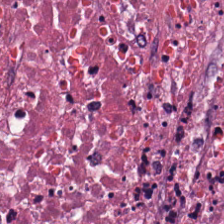224×224 px tile · H&E · FFPE — Tissue = debris.
